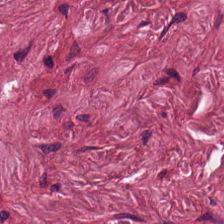Finding — desmoplastic stroma.
